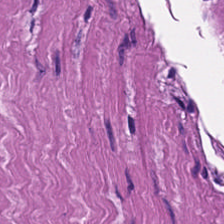H&E.
Predominant tissue: smooth muscle.
